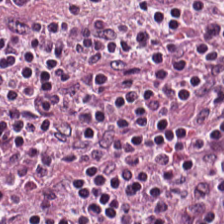Q: Classify this patch.
A: The field shows lymphocyte aggregate.
